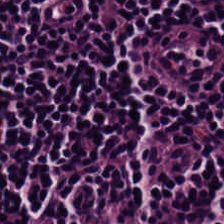Tissue type = lymphocytic infiltrate.
